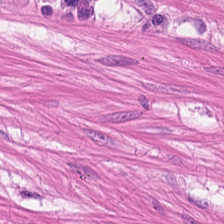FFPE tissue section. H&E-stained tissue section.
Predominantly smooth muscle.
